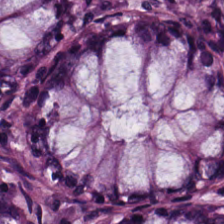H&E stain.
The predominant tissue is normal colonic mucosa.
